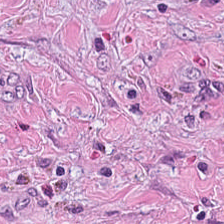H&E-stained tissue section. 224×224 pixel tile. The tissue class is cancer-associated stroma.
